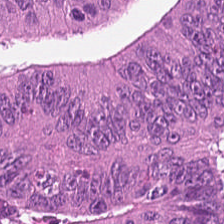Tissue type: tumor epithelium.
